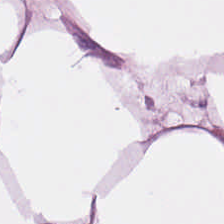H&E-stained tissue section. 224×224 px patch. {"tissue_type": "adipocytes"}
